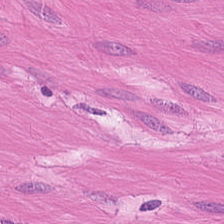H&E-stained tissue section. This patch shows smooth muscle.
